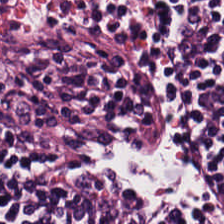Hematoxylin and eosin — Predominantly lymphocytes.
